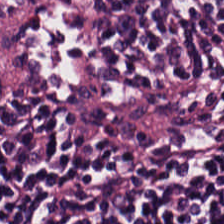H&E patch showing lymphocyte aggregate.
